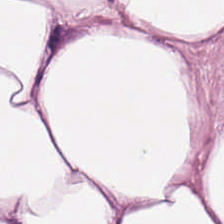Brightfield. H&E stain.
{"tissue_type": "fat tissue"}
